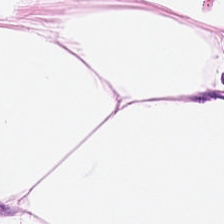Tissue = adipose.
